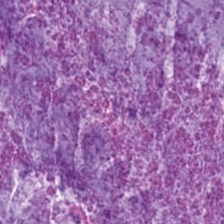0.5 µm per pixel · H&E · brightfield microscopy. Q: What does this patch show?
A: This is extracellular mucin.
